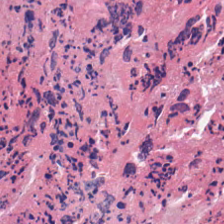H&E patch showing debris.
